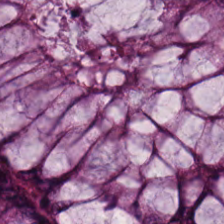224×224 pixel tile · H&E — This patch shows normal colon mucosa.
